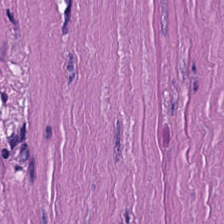224×224 pixel tile; WSI patch; H&E.
The predominant tissue is muscularis.
